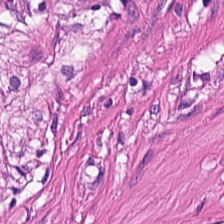H&E.
Q: Classify this patch.
A: It is smooth muscle.
